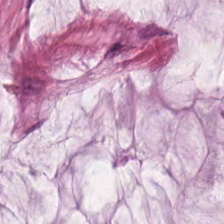Hematoxylin-and-eosin stained section · 224×224 px tile · brightfield — The predominant tissue is mucin.
